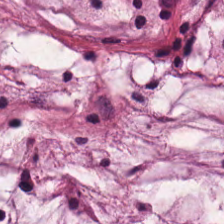Brightfield · formalin-fixed paraffin-embedded section · H&E stain. The predominant tissue is mucus.
